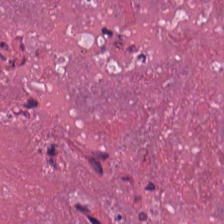Hematoxylin-and-eosin section: necrotic debris.
